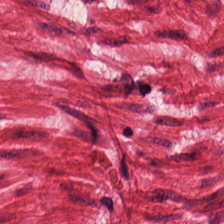Hematoxylin-and-eosin stained section; 224×224 pixel tile. Histology → smooth muscle.
